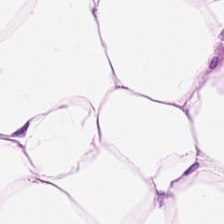Hematoxylin-and-eosin stained section — Showing fat tissue.
